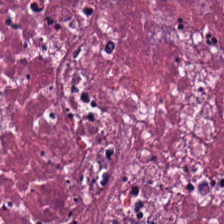Classification = necrotic debris.
